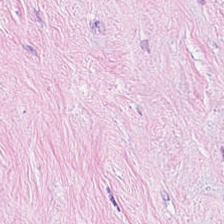H&E.
The classification is tumor stroma.
